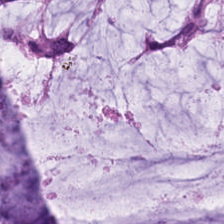Finding → mucus.
